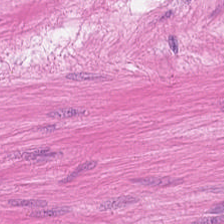224×224 px tile; hematoxylin and eosin. Impression → smooth muscle.
